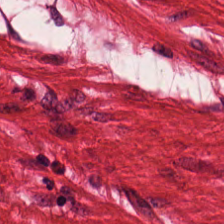H&E — The tissue class is smooth-muscle tissue.
